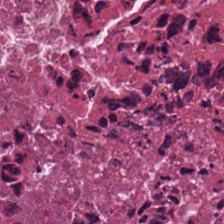H&E. The tissue class is necrotic debris.
